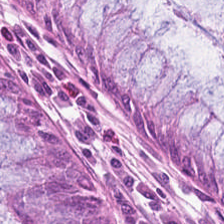This field is normal colonic mucosa.
